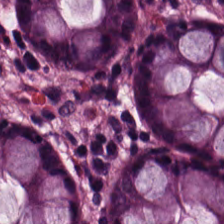Showing normal colon mucosa.
